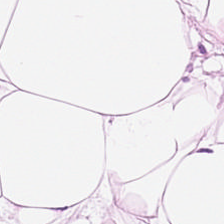Impression → fat tissue.
